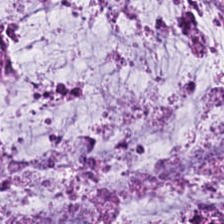H&E — Predominant tissue: mucin.
